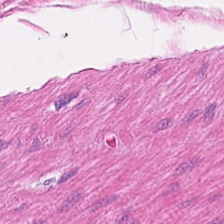Finding → smooth muscle.
